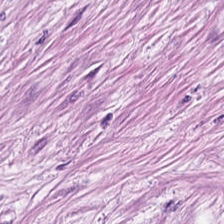H&E-stained tissue section — Predominantly tumor stroma.
